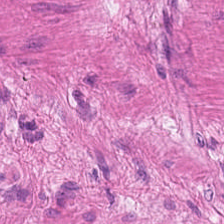Hematoxylin-and-eosin stained section.
Q: Identify the tissue.
A: This is muscularis.
